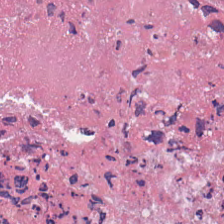H&E-stained section; the field shows debris.
